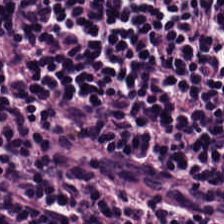WSI patch · H&E stain — This patch shows lymphocytes.
